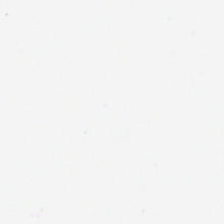FFPE; hematoxylin and eosin. Histology — empty background.
